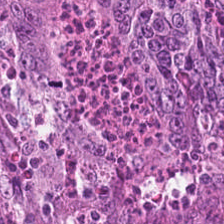Hematoxylin-and-eosin stained section. 224×224 px patch — The predominant tissue is tumor epithelium.
